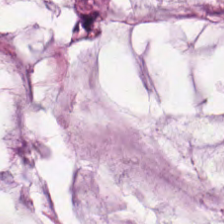Hematoxylin-and-eosin stained section; 0.5 microns per pixel.
Predominantly mucin.
